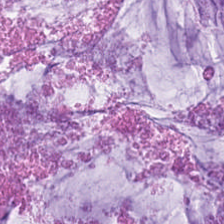224×224 px patch; hematoxylin-and-eosin stained section — Q: Classify this patch.
A: Mucus.
